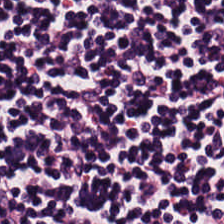H&E — lymphoid infiltrate.
